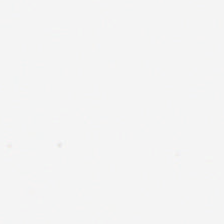Hematoxylin and eosin — Background — no tissue in this field.
